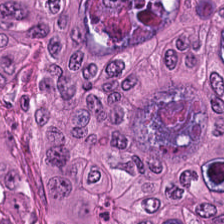The predominant tissue is adenocarcinoma.
